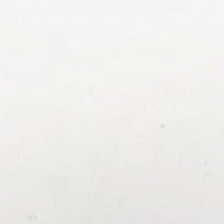224×224 pixel tile · whole-slide-image patch · H&E-stained tissue section.
Background (no tissue).
